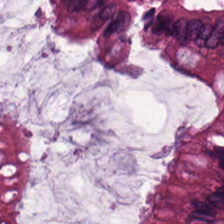H&E stain.
{"tissue_type": "normal colonic mucosa"}
